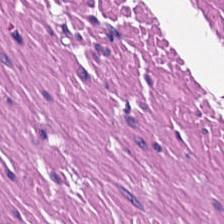Hematoxylin-and-eosin stained section.
Predominantly smooth muscle.
